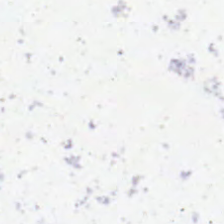0.5 µm per pixel · hematoxylin and eosin.
Q: What does this patch show?
A: No tissue.
